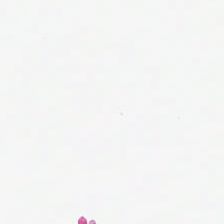Q: What does this patch show?
A: No tissue.
